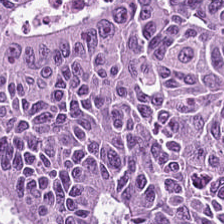The tissue here is colorectal adenocarcinoma epithelium.
